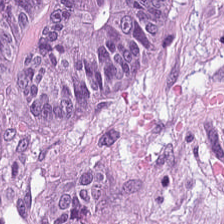H&E-stained tissue section.
{"tissue_type": "colorectal adenocarcinoma"}
